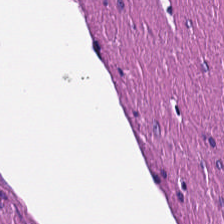224×224 pixel tile. H&E-stained tissue section — Predominant tissue = muscularis.
